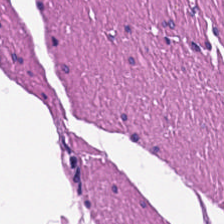H&E-stained tissue section.
Tissue class = smooth muscle.
